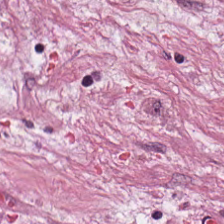Brightfield; H&E-stained tissue section — The tissue here is desmoplastic stroma.
